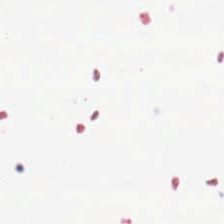H&E.
Q: Classify this patch.
A: The field shows background.
